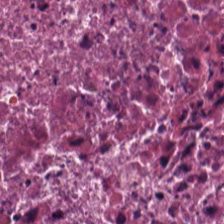224×224 pixel tile. Formalin-fixed paraffin-embedded section. Hematoxylin-and-eosin stained section.
Tissue class: necrotic debris.
